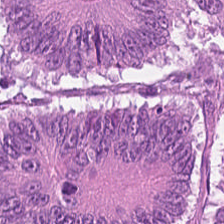H&E-stained tissue section. 0.5 µm per pixel.
Finding — colorectal adenocarcinoma.
